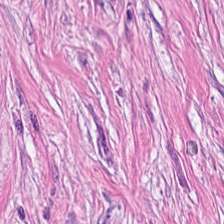Classification = tumor stroma.
